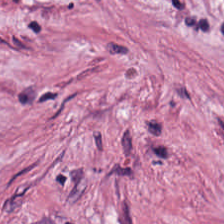H&E-stained tissue section.
Classification: desmoplastic stroma.
